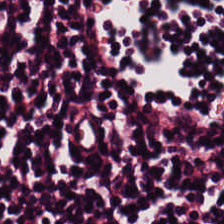224×224 px tile. Hematoxylin and eosin. Tissue class = lymphocyte aggregate.
